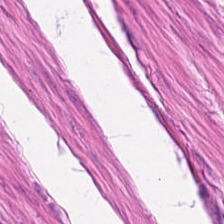FFPE tissue section · H&E · 0.5 microns per pixel.
Classification — smooth-muscle tissue.
